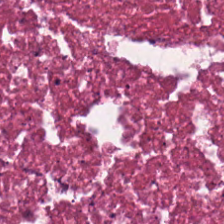H&E stain · 224×224 pixel tile.
Debris.
